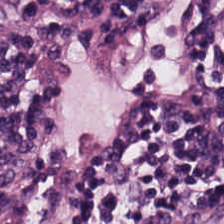H&E.
The tissue is lymphocytes.
